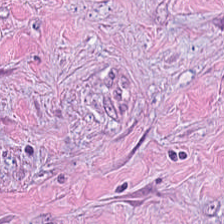H&E-stained tissue section. The tissue here is tumor stroma.
